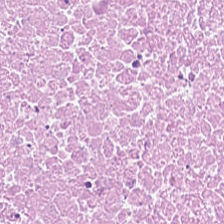H&E stain · 224×224 px patch. Impression — necrotic debris.
